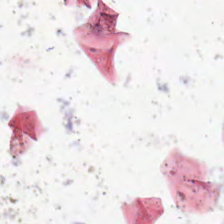H&E. Q: What is shown in this field?
A: This is empty background.
